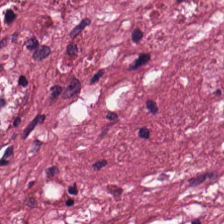224×224 pixel tile; FFPE tissue section; hematoxylin-and-eosin stained section.
Predominant tissue — cancer-associated stroma.
